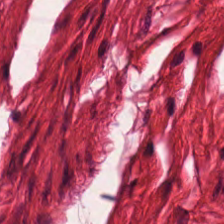Hematoxylin and eosin. Tissue class: muscularis.
